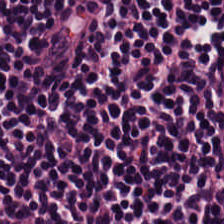0.5 microns per pixel; hematoxylin-and-eosin stained section; 224×224 px tile — Classification = lymphocyte aggregate.
